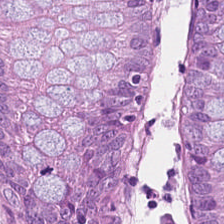20× equivalent magnification. H&E. Formalin-fixed paraffin-embedded section — Benign colonic mucosa.
